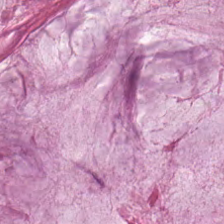0.5 µm per pixel; formalin-fixed paraffin-embedded section; H&E stain.
Extracellular mucin.
